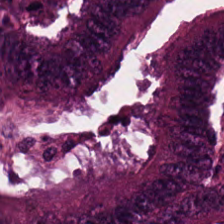{"tissue_type": "colorectal adenocarcinoma epithelium"}
